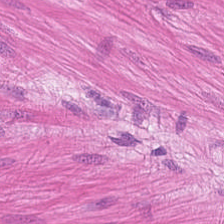Whole-slide-image patch · H&E-stained tissue section — This patch shows smooth-muscle tissue.
